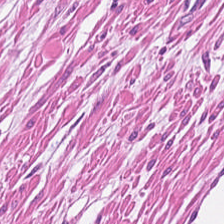H&E stain.
Showing smooth-muscle tissue.
